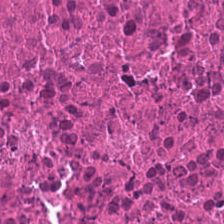Hematoxylin-and-eosin stained section.
Q: What is shown in this field?
A: It is cellular debris.
